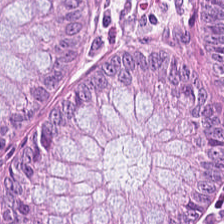20× equivalent magnification; hematoxylin-and-eosin stained section.
Non-neoplastic colon mucosa.
